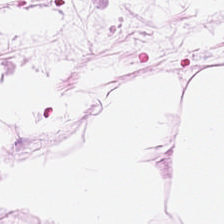Impression — adipocytes.
